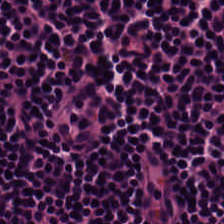H&E — Lymphocytes.
